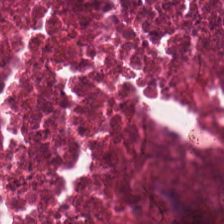Predominant tissue = necrotic debris.
